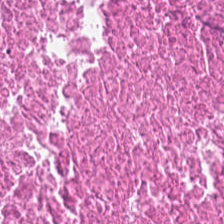Tissue class = cellular debris.
